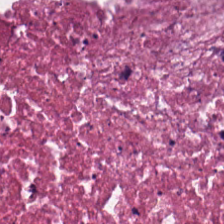Stain: hematoxylin and eosin.
Tile size: 224×224 px tile.
Classification: necrotic debris.
